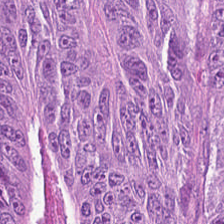Tissue class: malignant epithelium.
